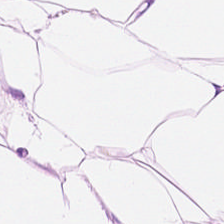H&E.
Showing fat tissue.
